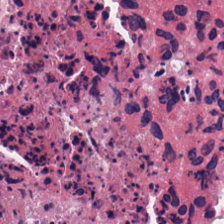Hematoxylin-and-eosin stained section · WSI patch · FFPE tissue section.
Q: What tissue type is shown here?
A: This is necrotic debris.
